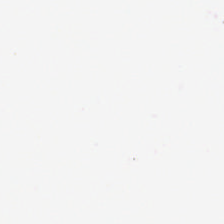{"content": "background (no tissue)"}
